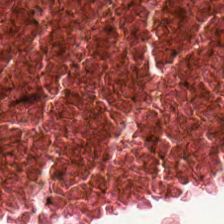Hematoxylin-and-eosin stained section · 0.5 µm/px.
Finding — necrotic debris.
